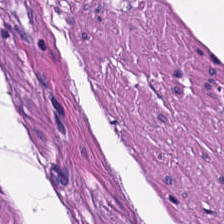FFPE. 224×224 px patch. H&E-stained tissue section — The tissue here is smooth muscle.
